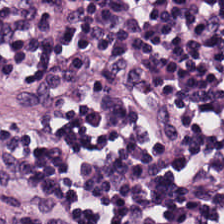The predominant tissue is lymphocyte aggregate.
